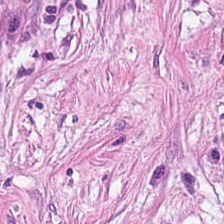Stain: H&E stain.
Acquisition: WSI patch.
Tissue class: cancer-associated stroma.
